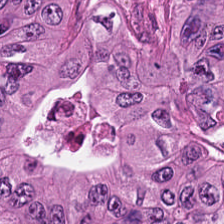0.5 microns per pixel · WSI patch · H&E stain. Predominantly adenocarcinoma.
